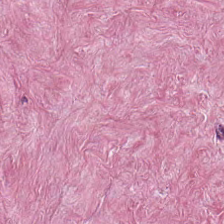Classification = tumor stroma.
